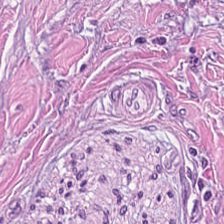Stain: H&E.
Tissue class: cancer-associated stroma.
